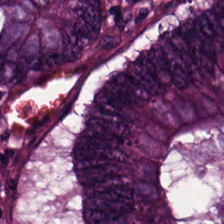Hematoxylin and eosin; 0.5 microns per pixel; whole-slide-image patch — Q: What is the predominant tissue type?
A: Adenocarcinoma.
